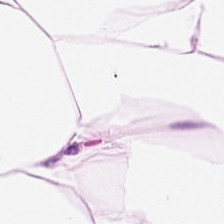H&E-stained tissue section; brightfield microscopy.
Predominant tissue: adipocytes.
